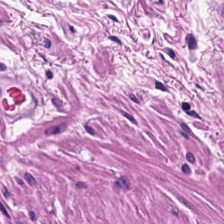H&E-stained tissue section showing muscularis.
